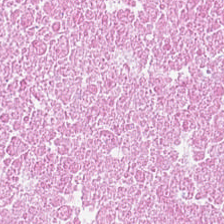Impression — debris.
